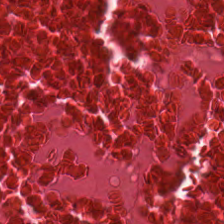H&E-stained tissue section.
{"tissue_type": "necrotic debris"}
